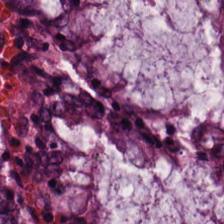224×224 px tile. 20× equivalent magnification. H&E.
Classification = benign colonic mucosa.
